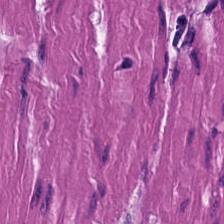H&E · FFPE tissue section.
Q: Classify this patch.
A: The field shows smooth muscle.
